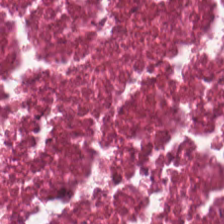Stain: hematoxylin-and-eosin stained section.
Tissue type: necrotic debris.
